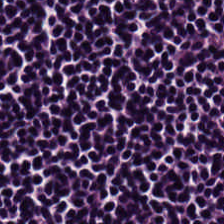H&E — This field is lymphocyte aggregate.
